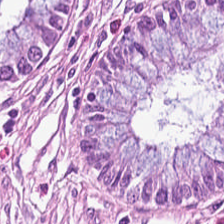Stain: hematoxylin-and-eosin stained section.
Acquisition: brightfield.
Preparation: FFPE.
Predominant tissue: normal colon mucosa.
